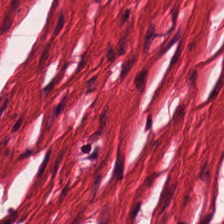H&E stain. Predominantly smooth-muscle tissue.
